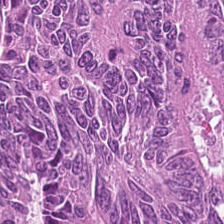Hematoxylin-and-eosin stained section — Predominant tissue — malignant epithelium.
